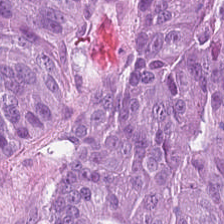Stain: H&E.
Predominant tissue: tumor epithelium.
